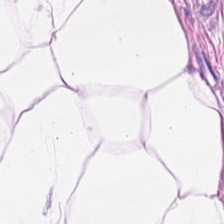Tissue type — adipocytes.
